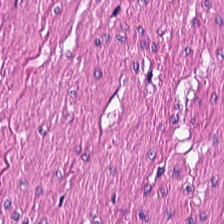H&E-stained tissue section. 20× equivalent magnification.
{"tissue_type": "smooth-muscle tissue"}
